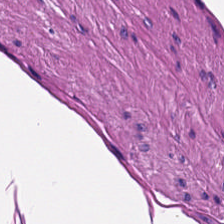H&E. 224×224 px patch. 20× equivalent magnification — Classification — smooth muscle.
